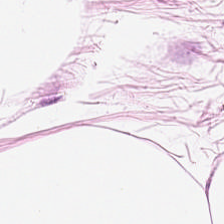0.5 µm per pixel; 224×224 px tile; H&E-stained tissue section — Fat tissue.
